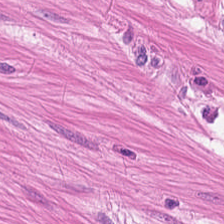H&E.
Predominantly smooth-muscle tissue.
